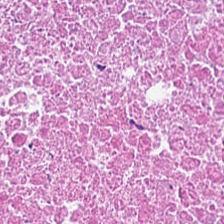The predominant tissue is debris.
